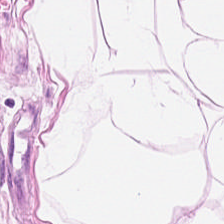224×224 px tile; H&E stain.
Q: Classify this patch.
A: The field shows adipocytes.
